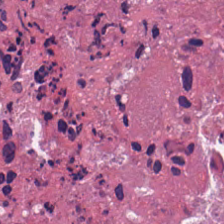H&E.
Cellular debris.
